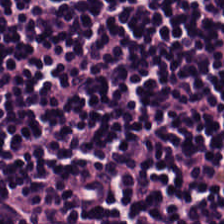H&E stain · formalin-fixed paraffin-embedded section. {"tissue_type": "lymphocytes"}
